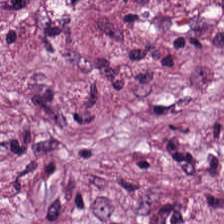FFPE tissue section · H&E — The predominant tissue is cancer-associated stroma.
